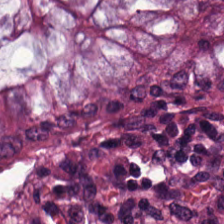Hematoxylin and eosin — The predominant tissue is non-neoplastic colon mucosa.
